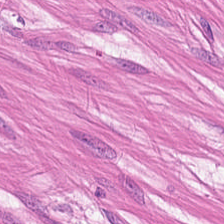Hematoxylin-and-eosin stained section. Predominant tissue = muscularis.
